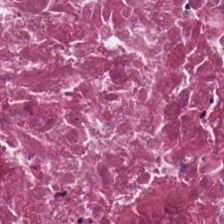H&E — necrotic debris.
